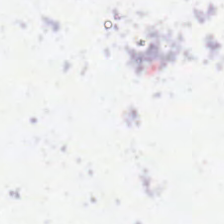Hematoxylin and eosin. Background — no tissue in this field.
